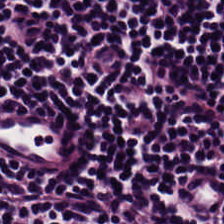H&E-stained tissue section showing lymphocyte aggregate.
